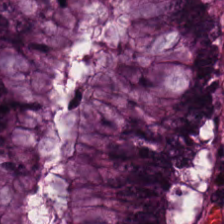H&E stain.
Impression → benign colonic mucosa.
